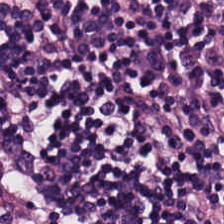The predominant tissue is lymphocytic infiltrate.
